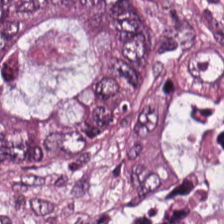224×224 px tile. Brightfield microscopy. Hematoxylin-and-eosin stained section. The tissue type is adenocarcinoma.
